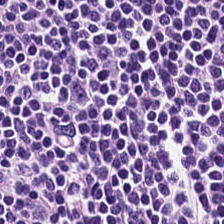H&E · 224×224 pixel tile.
Tissue class — lymphocytes.
